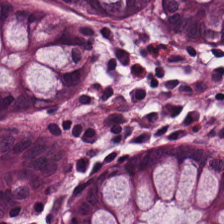Stain: hematoxylin-and-eosin stained section.
Predominant tissue: normal colon mucosa.
